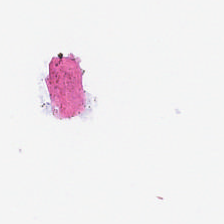Empty field — empty background.
